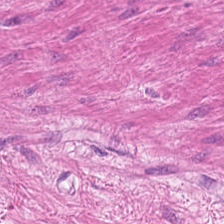{"tissue_type": "smooth muscle"}
